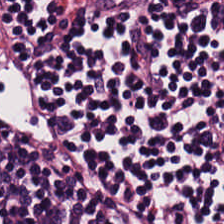Hematoxylin and eosin — Q: What tissue type is shown here?
A: This is lymphoid infiltrate.
